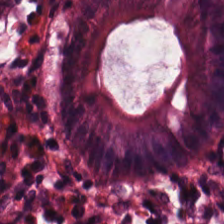Hematoxylin and eosin — Tissue — non-neoplastic colon mucosa.
